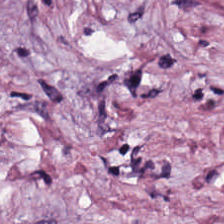H&E stain — Classification: desmoplastic stroma.
